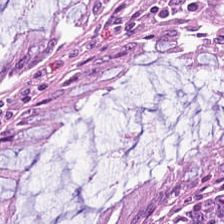Hematoxylin and eosin.
Predominant tissue — normal colon mucosa.
